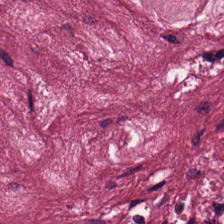Stain: H&E stain.
Preparation: FFPE.
Predominant tissue: cancer-associated stroma.
